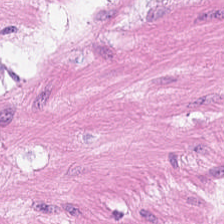20× equivalent magnification · brightfield · hematoxylin and eosin. {"tissue_type": "smooth-muscle tissue"}
